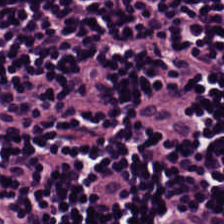H&E. 224×224 px patch — Q: Identify the tissue.
A: It is lymphoid infiltrate.
